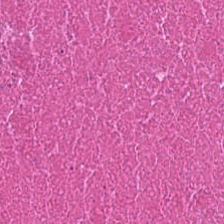H&E — This patch shows cellular debris.
